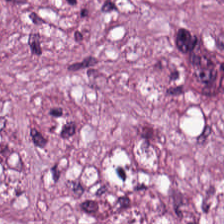H&E-stained section; the field shows tumor-associated stroma.
